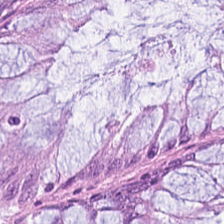20× equivalent magnification · hematoxylin and eosin. Tissue: normal colonic mucosa.
